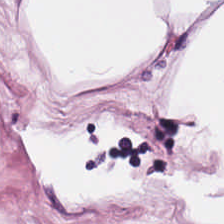H&E stain. 224×224 px tile. Brightfield. Predominant tissue: adipose tissue.
